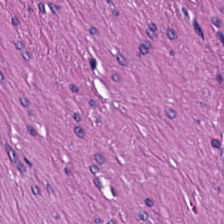WSI patch. Hematoxylin-and-eosin stained section. Formalin-fixed paraffin-embedded section. Classification — smooth muscle.
